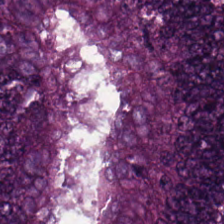Hematoxylin and eosin. 224×224 pixel tile. Whole-slide-image patch. The predominant tissue is adenocarcinoma.
